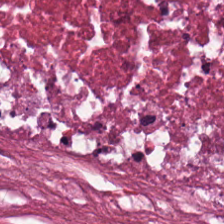Stain: H&E-stained tissue section.
Classification: necrotic debris.
